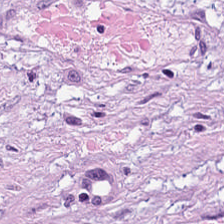H&E-stained tissue section; 224×224 pixel tile; formalin-fixed paraffin-embedded section — {"tissue_type": "cancer-associated stroma"}
